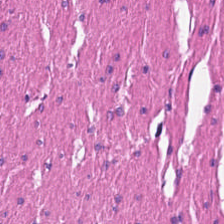This field is muscularis.
